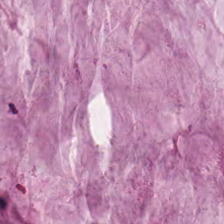H&E; 224×224 pixel tile — Tissue class: extracellular mucin.
